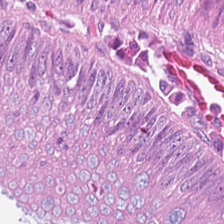FFPE · H&E stain. Predominant tissue — colorectal adenocarcinoma epithelium.
